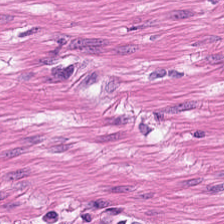H&E — muscularis.
